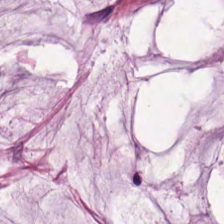Stain: hematoxylin and eosin.
Acquisition: WSI patch.
Classification: mucus.
